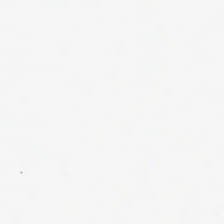H&E stain. 224×224 px patch. 0.5 µm per pixel — Q: What is shown in this field?
A: It is background.
